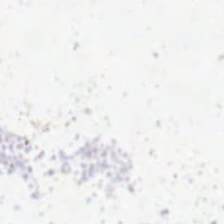Stain: hematoxylin and eosin.
Field content: background (no tissue).
